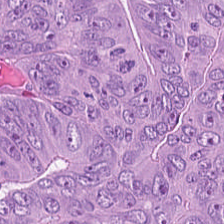H&E stain. The tissue here is colorectal adenocarcinoma epithelium.
